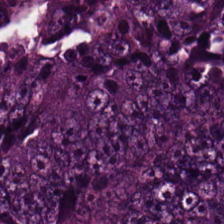Finding → colorectal adenocarcinoma epithelium.
